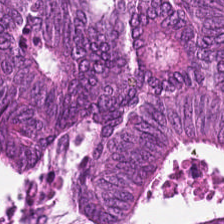Tissue — malignant epithelium.
